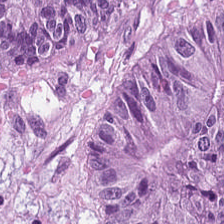Whole-slide-image patch · hematoxylin-and-eosin stained section. Q: What is shown here?
A: It is malignant epithelium.
